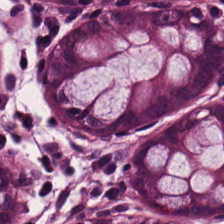Hematoxylin-and-eosin stained section. Classification: normal colon mucosa.
